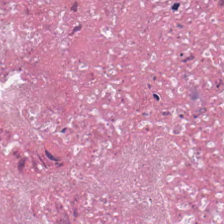Stain: hematoxylin and eosin.
Preparation: FFPE.
Predominant tissue: cellular debris.
